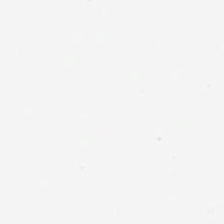No tissue present; background only.
